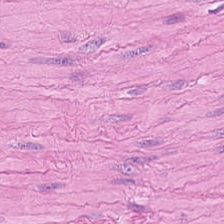Hematoxylin and eosin. Q: What type of tissue is this?
A: This is smooth-muscle tissue.
